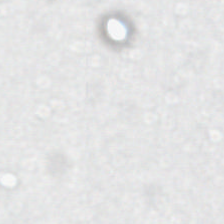WSI patch · FFPE · H&E stain — Empty field — background (no tissue).
